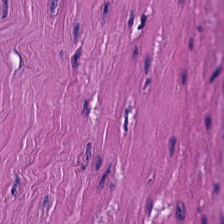Tissue class: smooth muscle.
